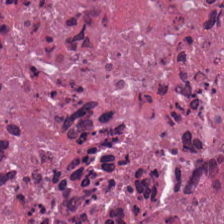H&E stain. 224×224 px patch. Predominant tissue = cellular debris.
